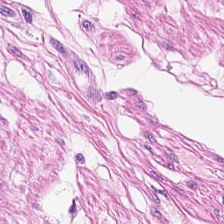FFPE tissue section; hematoxylin and eosin — Muscularis.
